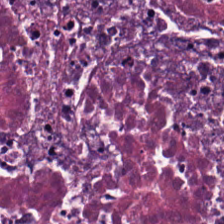Hematoxylin-and-eosin stained section.
Predominantly cellular debris.
